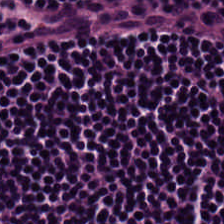H&E — Impression → lymphocyte aggregate.
